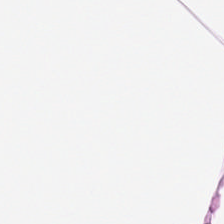224×224 pixel tile; hematoxylin and eosin.
Finding — adipose tissue.
